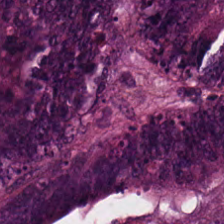0.5 microns per pixel; hematoxylin and eosin. The predominant tissue is tumor epithelium.
